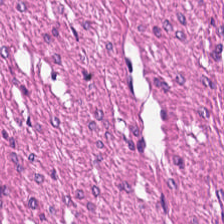The predominant tissue is muscularis.
